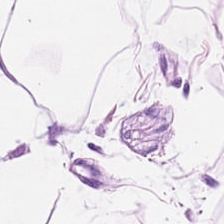FFPE tissue section; hematoxylin and eosin — This patch shows fat tissue.
